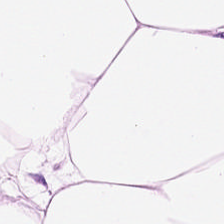Hematoxylin-and-eosin stained section. Predominant tissue = adipose tissue.
